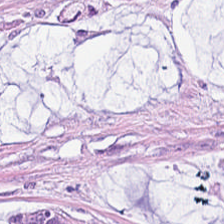FFPE tissue section · hematoxylin and eosin.
Q: Identify the tissue.
A: Extracellular mucin.
